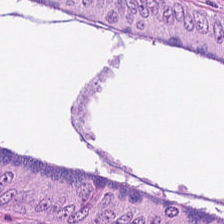Hematoxylin-and-eosin section: malignant epithelium.
